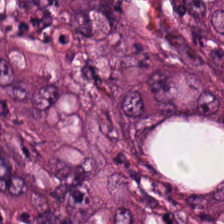H&E-stained tissue section.
The tissue is adenocarcinoma.
